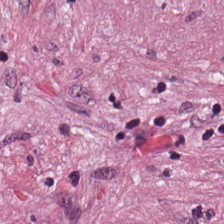Hematoxylin-and-eosin stained section. Cancer-associated stroma.
